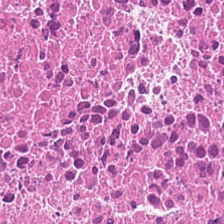Stain: H&E stain.
Predominant tissue: cellular debris.
